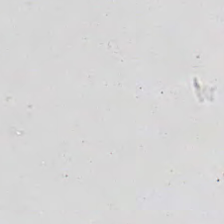20× equivalent magnification · H&E stain — Histology → no tissue.
